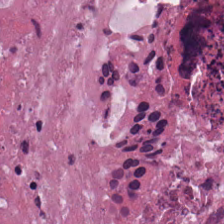Finding — debris.
